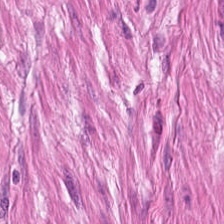H&E stain. Q: What is shown in this field?
A: This is muscularis.
